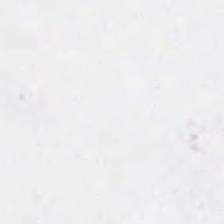Stain: hematoxylin and eosin.
Acquisition: whole-slide-image patch.
Resolution: 0.5 microns per pixel.
Classification: background (no tissue).
